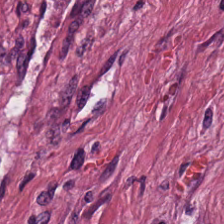This patch shows desmoplastic stroma.
